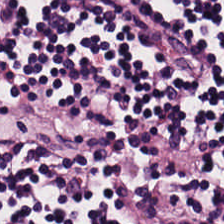Hematoxylin and eosin — Histology — lymphocytic infiltrate.
